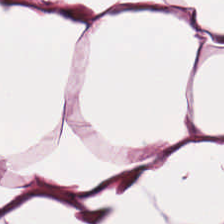H&E — This field is adipose tissue.
